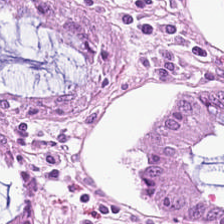H&E stain.
Classification — normal colonic mucosa.
